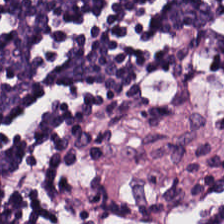Stain: H&E.
Resolution: 0.5 µm/px.
Tissue class: lymphoid infiltrate.
